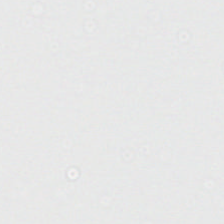Empty field — background (no tissue).
